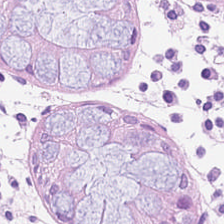224×224 pixel tile · hematoxylin-and-eosin stained section · brightfield — Normal colon mucosa.
